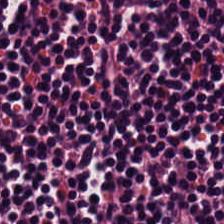H&E. Formalin-fixed paraffin-embedded section.
{"tissue_type": "lymphocyte aggregate"}
